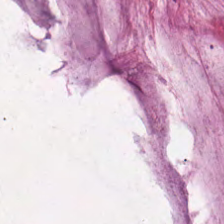Tissue type = mucin.
